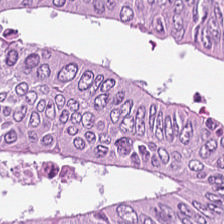Hematoxylin and eosin.
Q: What type of tissue is this?
A: This is colorectal adenocarcinoma epithelium.
